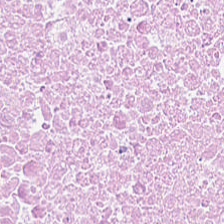H&E-stained tissue section; 20× equivalent magnification — Predominant tissue: cellular debris.
